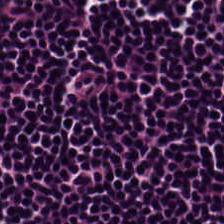H&E-stained tissue section; brightfield — Lymphocytes.
